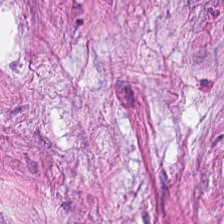Tissue — desmoplastic stroma.
